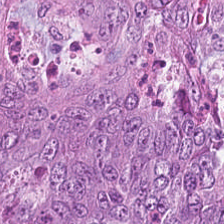WSI patch. H&E-stained tissue section.
Q: What is shown in this field?
A: This is colorectal adenocarcinoma epithelium.
